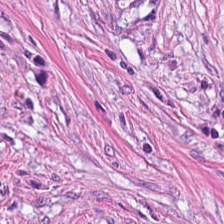Q: What is shown in this field?
A: This is desmoplastic stroma.
